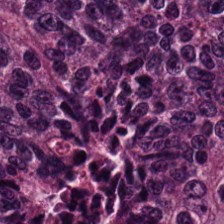Hematoxylin and eosin · 0.5 microns per pixel. The tissue here is adenocarcinoma.
